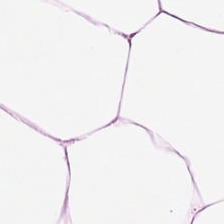Hematoxylin and eosin · 224×224 px patch · 0.5 µm/px — Tissue: fat tissue.
